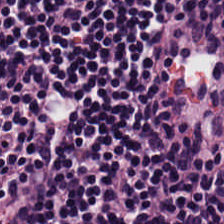Stain: hematoxylin-and-eosin stained section.
Predominant tissue: lymphocyte aggregate.
